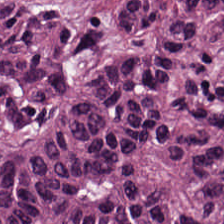The predominant tissue is adenocarcinoma.
